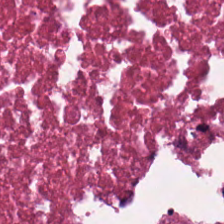The tissue type is cellular debris.
